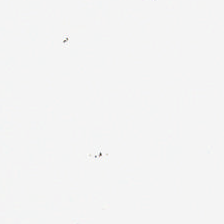Stain: H&E stain.
Content: empty background.
